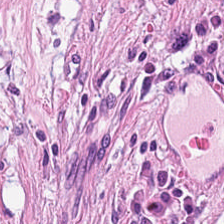H&E stain — Classification = cancer-associated stroma.
